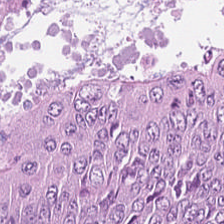Hematoxylin and eosin; formalin-fixed paraffin-embedded section; whole-slide-image patch. Tissue — colorectal adenocarcinoma.
